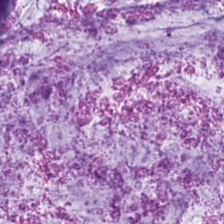Hematoxylin-and-eosin stained section.
The tissue here is mucin.
